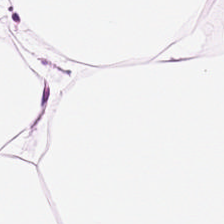Hematoxylin-and-eosin stained section — Q: What tissue type is shown here?
A: It is fat tissue.
